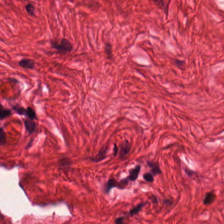H&E.
Showing smooth muscle.
